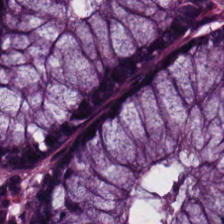Histology — normal colonic mucosa.
